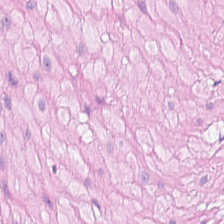H&E. Finding — muscularis.
